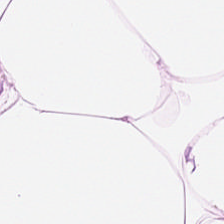Histology — adipose tissue.
